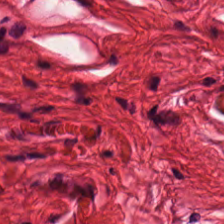Hematoxylin and eosin · 224×224 px tile. This field is smooth-muscle tissue.
